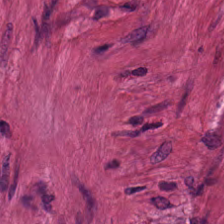Predominantly smooth-muscle tissue.
